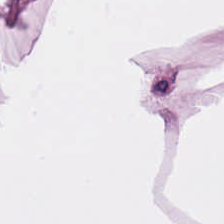WSI patch · hematoxylin and eosin.
Classification — fat tissue.
